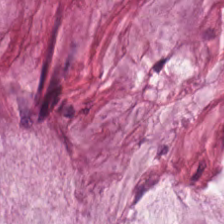H&E stain; 0.5 µm/px — Q: Classify this patch.
A: This is mucus.
